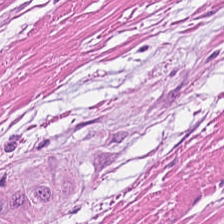H&E-stained tissue section; brightfield — This field is smooth muscle.
